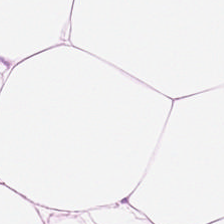Hematoxylin and eosin. The tissue here is adipocytes.
